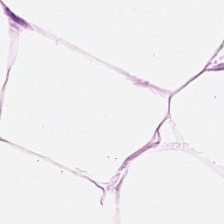Classification = adipocytes.
